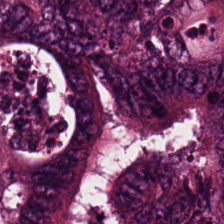Hematoxylin-and-eosin section: tumor epithelium.
